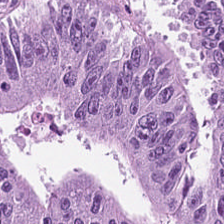H&E. Q: What is the predominant tissue type?
A: Malignant epithelium.
